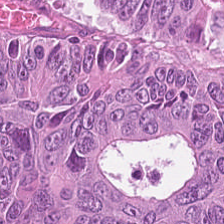Hematoxylin-and-eosin stained section · 0.5 µm per pixel. The tissue class is colorectal adenocarcinoma.
